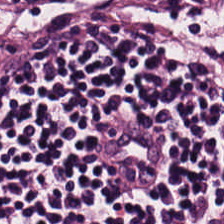Hematoxylin and eosin — Tissue class — lymphoid infiltrate.
